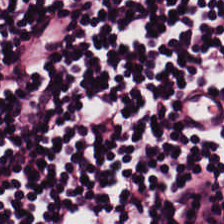Hematoxylin-and-eosin stained section · 0.5 microns per pixel · 224×224 px tile. Lymphocyte aggregate.
